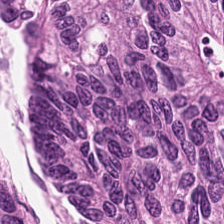H&E stain.
This patch shows adenocarcinoma.
